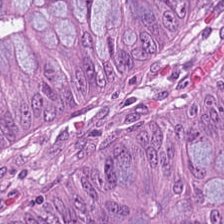H&E-stained tissue section.
Tissue type = tumor epithelium.
